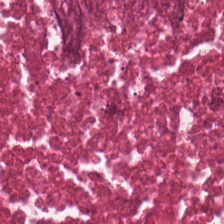H&E-stained tissue section.
Tissue class = necrotic debris.
